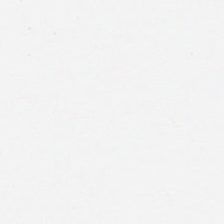No tissue present; background only.
